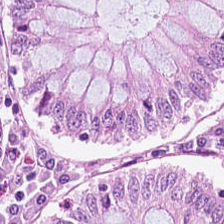Stain: hematoxylin and eosin.
Tissue type: benign colonic mucosa.
